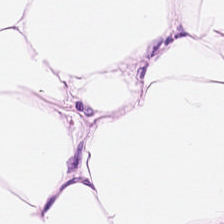224×224 px tile · FFPE · H&E stain.
Q: What is shown here?
A: The field shows adipocytes.
